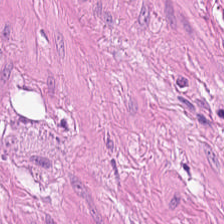WSI patch; H&E-stained tissue section.
The tissue is smooth-muscle tissue.
